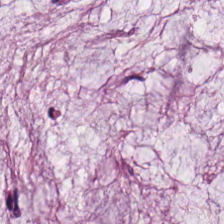H&E-stained tissue section · whole-slide-image patch.
{"tissue_type": "extracellular mucin"}
